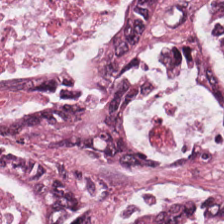Stain: H&E-stained tissue section.
Tile size: 224×224 px tile.
Acquisition: whole-slide-image patch.
Tissue: adenocarcinoma.
